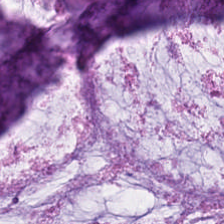Q: What type of tissue is this?
A: This is mucin.
